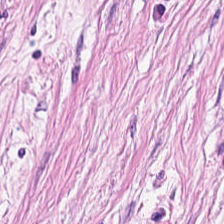H&E; 0.5 µm per pixel — This field is cancer-associated stroma.
